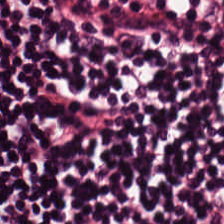Hematoxylin and eosin. Showing lymphoid infiltrate.
